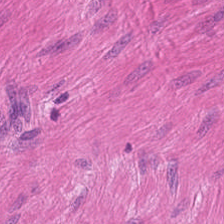H&E stain. WSI patch.
The tissue here is muscularis.
